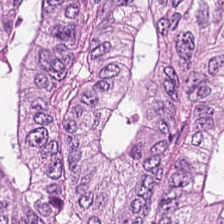224×224 px patch. H&E.
Finding — tumor epithelium.
